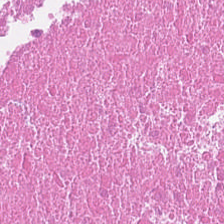Stain: hematoxylin-and-eosin stained section.
Tissue: necrotic debris.
